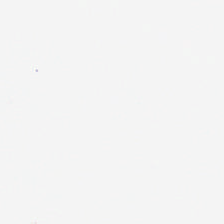H&E stain. Brightfield — Q: What does this patch show?
A: It is empty background.
